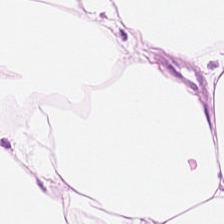Hematoxylin and eosin · brightfield microscopy. The tissue is fat tissue.
